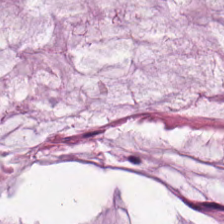Q: What is shown in this field?
A: The field shows extracellular mucin.
